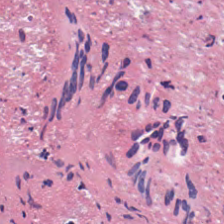FFPE · 0.5 µm/px · hematoxylin and eosin — Finding → debris.
